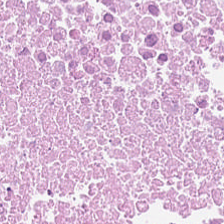H&E stain. This patch shows cellular debris.
